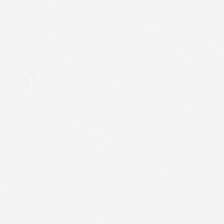H&E. Brightfield. 0.5 microns per pixel. This patch shows background (no tissue).
